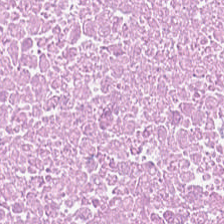Hematoxylin-and-eosin stained section.
Cellular debris.
